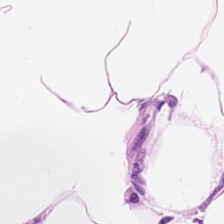H&E-stained tissue section — Showing adipose tissue.
